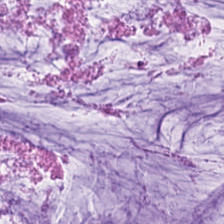H&E-stained tissue section.
Tissue type = mucus.
